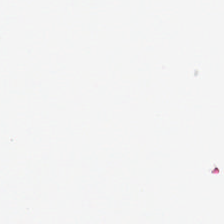Hematoxylin and eosin.
Background (no tissue).
